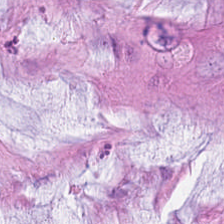Finding → extracellular mucin.
